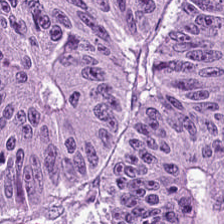Hematoxylin-and-eosin stained section. FFPE tissue section. Adenocarcinoma.
